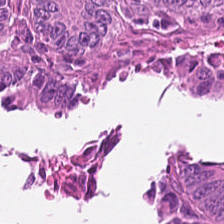H&E; 0.5 µm/px.
Q: What is shown here?
A: This is malignant epithelium.
